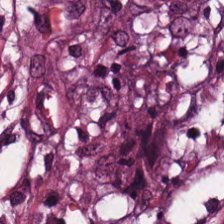Impression → desmoplastic stroma.
